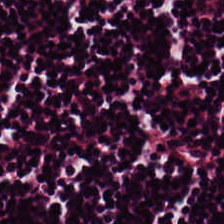FFPE tissue section; 224×224 pixel tile; hematoxylin and eosin.
The tissue class is lymphocyte aggregate.
